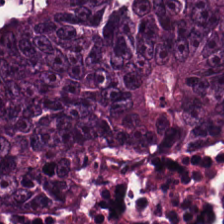Formalin-fixed paraffin-embedded section · H&E stain.
Adenocarcinoma.
